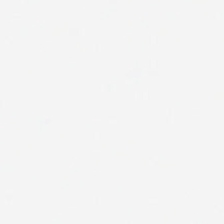Hematoxylin and eosin. 0.5 µm/px — This patch shows background.
